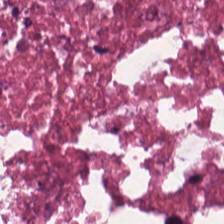Hematoxylin-and-eosin stained section. Histology → debris.
